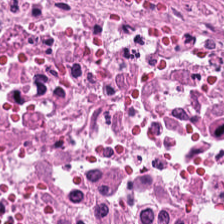224×224 pixel tile; 0.5 µm/px; H&E. Tissue type — cellular debris.
